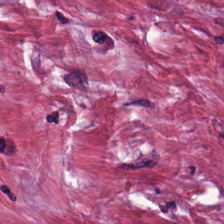H&E-stained tissue section. 224×224 px tile.
{"tissue_type": "tumor-associated stroma"}
